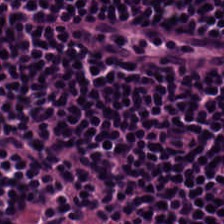Brightfield · FFPE tissue section · H&E-stained tissue section. This field is lymphocytic infiltrate.
